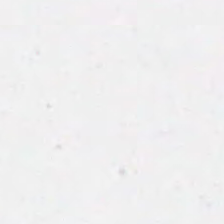224×224 px patch. 0.5 microns per pixel. Hematoxylin-and-eosin stained section.
Q: Classify this patch.
A: No tissue.
